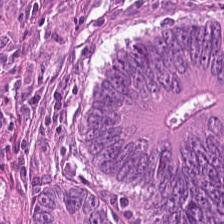FFPE. Brightfield microscopy. Hematoxylin-and-eosin stained section.
Impression — colorectal adenocarcinoma.
